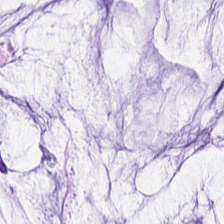Hematoxylin-and-eosin section: mucin.
